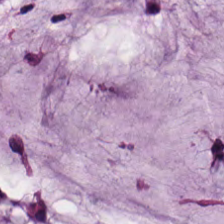224×224 px tile. FFPE tissue section. Hematoxylin-and-eosin stained section. Tissue class = mucus.
